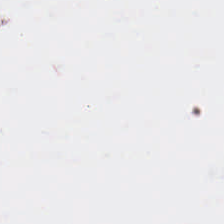H&E-stained tissue section; whole-slide-image patch. This patch shows background (no tissue).
